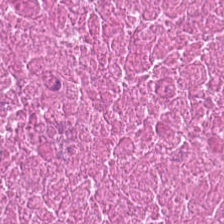Necrotic debris.
